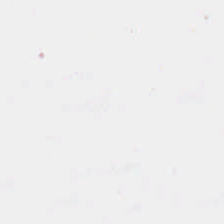FFPE tissue section · H&E-stained tissue section — Content: background.
